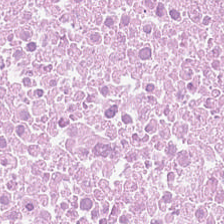This patch shows necrotic debris.
